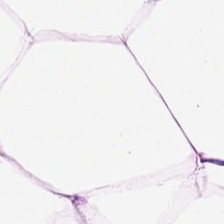Stain: hematoxylin-and-eosin stained section.
Classification: adipose tissue.
